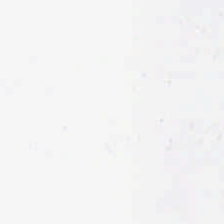H&E — No tissue present; background only.
